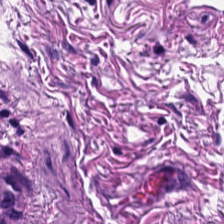Muscularis.
